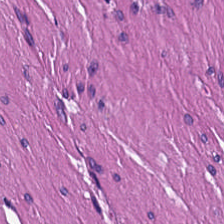Hematoxylin-and-eosin stained section. Tissue type = smooth-muscle tissue.
